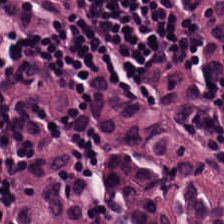H&E stain — Tissue class: lymphocytes.
